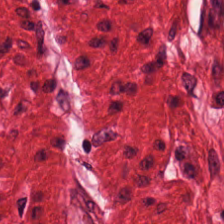H&E stain · brightfield. Q: Identify the tissue.
A: This is smooth-muscle tissue.
